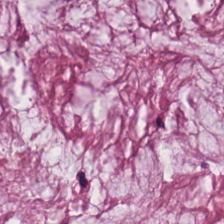Tissue class: mucin.
